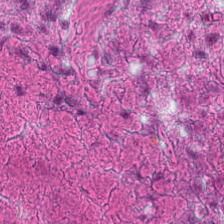Impression → debris.
